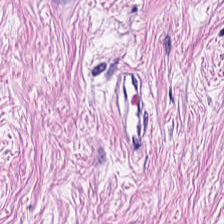H&E-stained tissue section · 224×224 px tile. This patch shows tumor-associated stroma.
